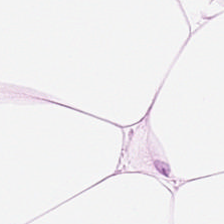0.5 µm/px; H&E — Q: What is the predominant tissue type?
A: This is adipocytes.
